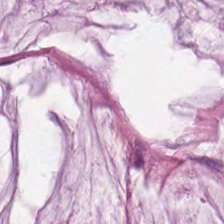Hematoxylin-and-eosin section: mucin.
